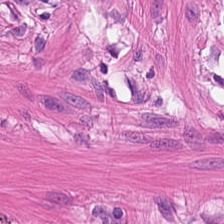Q: Classify this patch.
A: This is muscularis.
